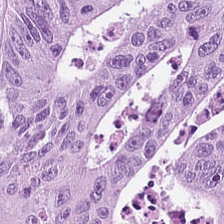H&E — Q: What does this patch show?
A: The field shows adenocarcinoma.
